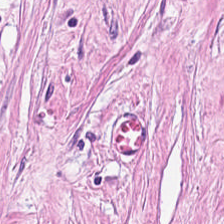Whole-slide-image patch. Hematoxylin-and-eosin stained section — The predominant tissue is tumor stroma.
